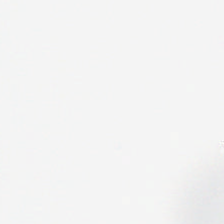This field is background (no tissue).
